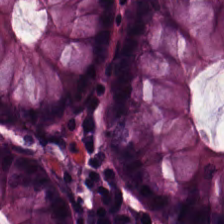Tissue class: normal colon mucosa.
